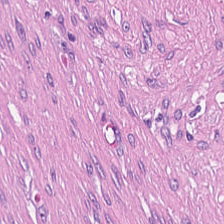H&E-stained tissue section. Classification: cancer-associated stroma.
